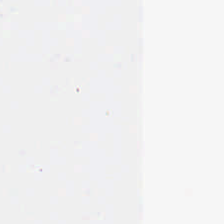H&E-stained tissue section. Q: What is shown in this field?
A: The field shows empty background.
